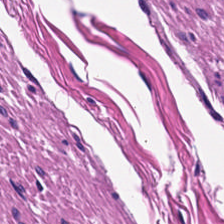Hematoxylin and eosin.
Predominant tissue — muscularis.
